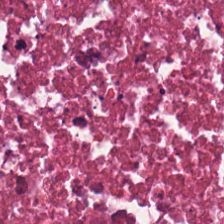H&E-stained tissue section. Finding — cellular debris.
